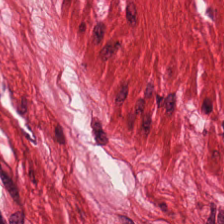Stain: hematoxylin-and-eosin stained section.
Tissue type: muscularis.
